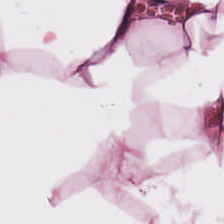Hematoxylin and eosin — This field is adipose tissue.
